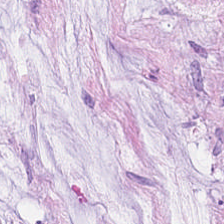Hematoxylin and eosin; 20× equivalent magnification. This patch shows mucus.
